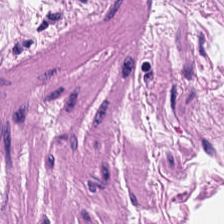Hematoxylin-and-eosin stained section.
This field is muscularis.
